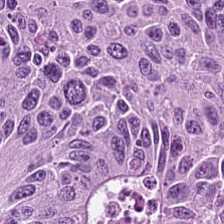FFPE · H&E-stained tissue section · 0.5 µm per pixel. Predominantly colorectal adenocarcinoma.
